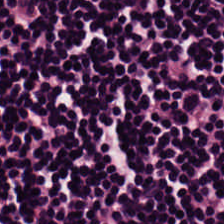H&E patch showing lymphocytic infiltrate.
